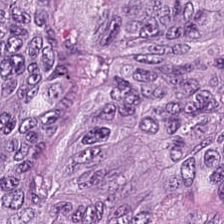H&E.
Showing colorectal adenocarcinoma.
